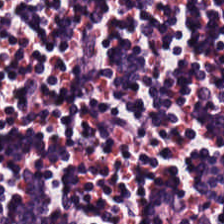H&E.
Predominant tissue = lymphocytic infiltrate.
